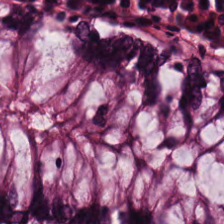Hematoxylin and eosin — Classification: normal colonic mucosa.
